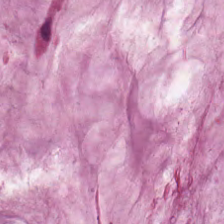Hematoxylin and eosin · 0.5 µm/px · WSI patch.
Predominantly mucin.
